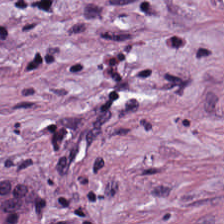Stain: hematoxylin and eosin.
Acquisition: whole-slide-image patch.
Classification: desmoplastic stroma.
